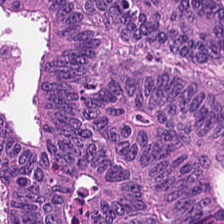WSI patch. H&E-stained tissue section — The classification is colorectal adenocarcinoma.
